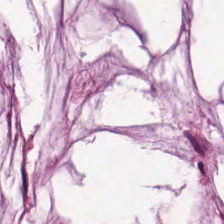Hematoxylin and eosin. Tissue class: extracellular mucin.
